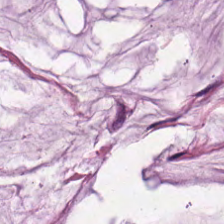Formalin-fixed paraffin-embedded section. WSI patch. H&E stain — Tissue class: mucin.
